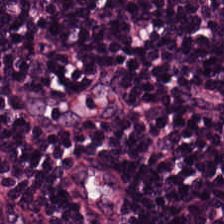Hematoxylin and eosin — The tissue here is lymphocytic infiltrate.
